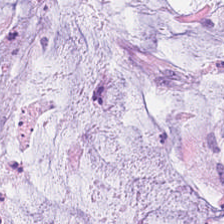H&E stain.
The tissue class is mucin.
